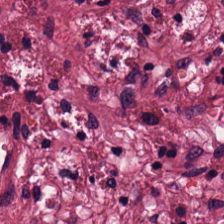Stain: hematoxylin and eosin.
Resolution: 20× equivalent magnification.
Tissue: tumor-associated stroma.
